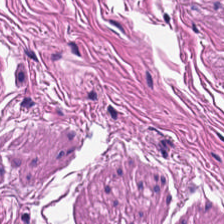Whole-slide-image patch · H&E.
Showing muscularis.
